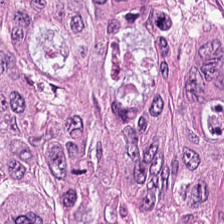224×224 pixel tile. Hematoxylin-and-eosin stained section — Tissue class = colorectal adenocarcinoma.
